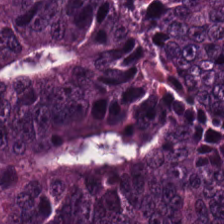Hematoxylin and eosin.
Q: What does this patch show?
A: The field shows colorectal adenocarcinoma.
